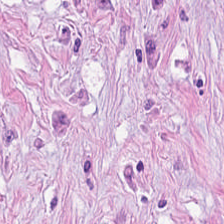Stain: H&E-stained tissue section.
Tile size: 224×224 px tile.
Acquisition: brightfield microscopy.
Tissue: desmoplastic stroma.
